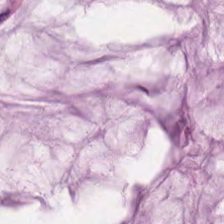H&E-stained tissue section · formalin-fixed paraffin-embedded section.
Tissue class: mucin.
